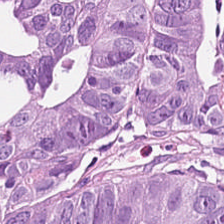Histology — colorectal adenocarcinoma.
